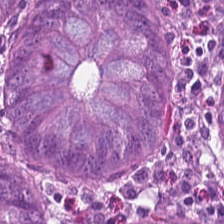Hematoxylin-and-eosin stained section — This patch shows non-neoplastic colon mucosa.
